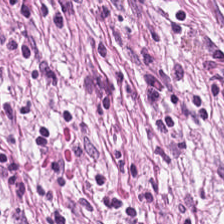H&E-stained tissue section.
Impression — desmoplastic stroma.
